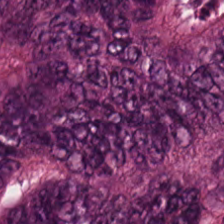20× equivalent magnification · H&E stain. Predominant tissue — mucin.
